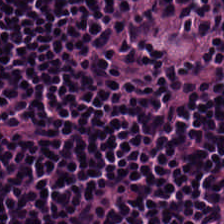The tissue here is lymphocyte aggregate.
